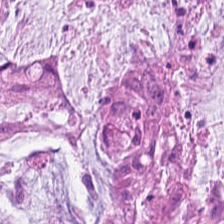The predominant tissue is extracellular mucin.
